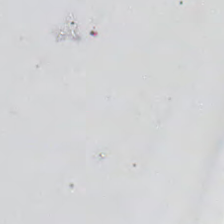H&E-stained tissue section · 0.5 microns per pixel.
No tissue present; background only.
